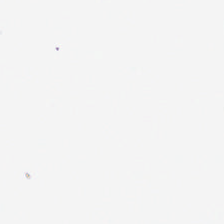0.5 microns per pixel · H&E-stained tissue section · brightfield microscopy.
Histology — background.
